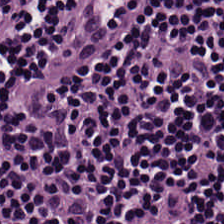Formalin-fixed paraffin-embedded section. H&E stain. Tissue class — lymphocytes.
